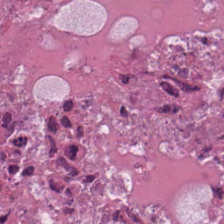Hematoxylin and eosin — This field is cellular debris.
